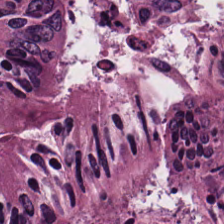H&E stain.
Q: What is shown here?
A: This is colorectal adenocarcinoma epithelium.
